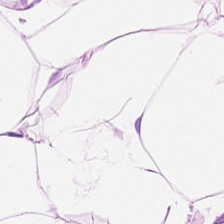H&E-stained tissue section. Whole-slide-image patch. {"tissue_type": "adipose"}
